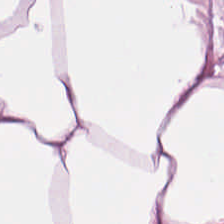Hematoxylin-and-eosin stained section. Predominantly fat tissue.
